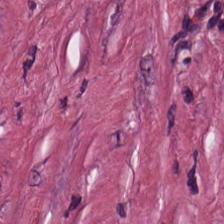H&E. Whole-slide-image patch. Cancer-associated stroma.
